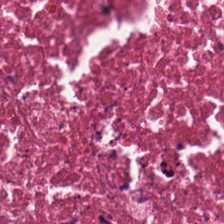H&E. Finding → necrotic debris.
